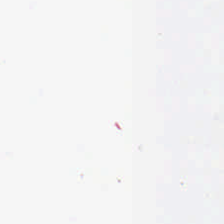Hematoxylin-and-eosin stained section.
{"content": "empty background"}
